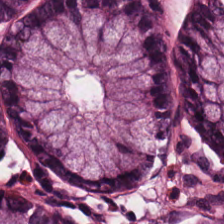Tissue class — non-neoplastic colon mucosa.
